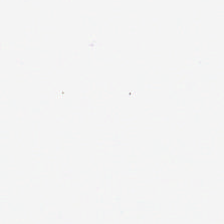224×224 px patch; H&E; whole-slide-image patch — Background — no tissue in this field.
